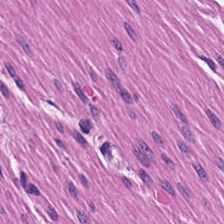H&E stain — This field is smooth muscle.
